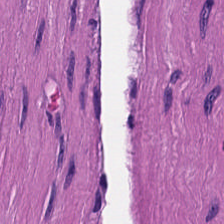Classification — muscularis.
